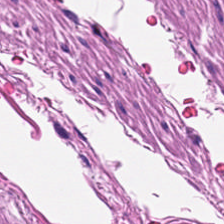H&E. Impression → smooth muscle.
